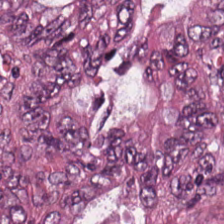H&E. {"tissue_type": "adenocarcinoma"}
